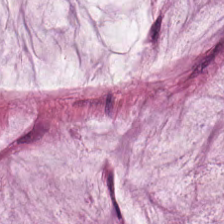FFPE · H&E. The classification is mucin.
